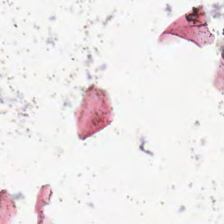Hematoxylin-and-eosin stained section.
Classification = empty background.
